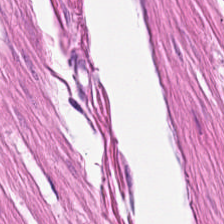Stain: H&E stain.
Resolution: 0.5 µm per pixel.
Tissue class: smooth-muscle tissue.
